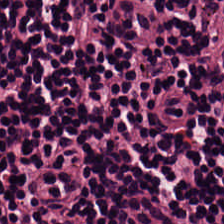224×224 pixel tile; H&E stain. Tissue = lymphocytes.
